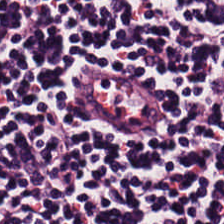Tissue type — lymphocytes.
